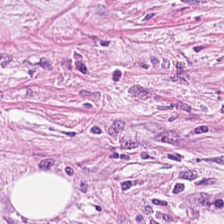The tissue is desmoplastic stroma.
